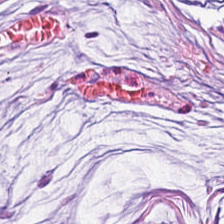0.5 µm per pixel; H&E.
Showing mucus.
